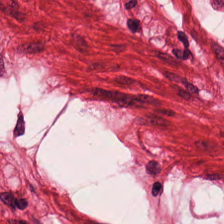H&E-stained tissue section — The tissue type is smooth muscle.
